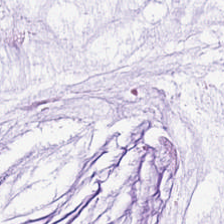Hematoxylin and eosin — Predominantly mucin.
